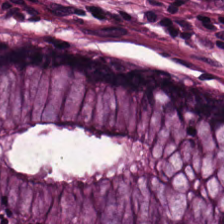Impression — normal colon mucosa.
